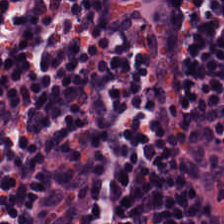H&E. Whole-slide-image patch.
Tissue = lymphocytes.
